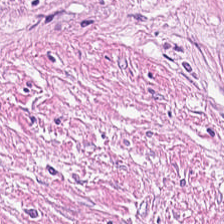Classification — desmoplastic stroma.
